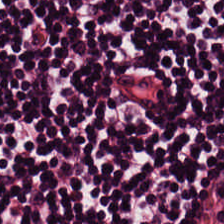224×224 px patch; brightfield microscopy; H&E. {"tissue_type": "lymphocyte aggregate"}
